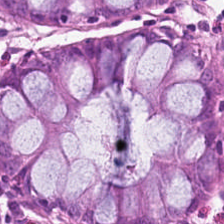H&E. Q: What tissue type is shown here?
A: The field shows benign colonic mucosa.
